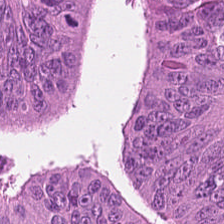This field is malignant epithelium.
